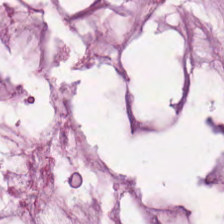H&E — Histology → mucin.
